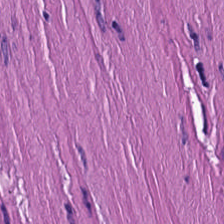H&E. The tissue here is muscularis.
